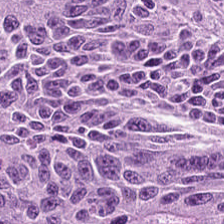Stain: H&E-stained tissue section.
Preparation: formalin-fixed paraffin-embedded section.
Tissue type: tumor epithelium.
